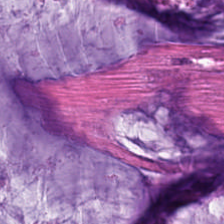H&E stain; 0.5 microns per pixel; 224×224 pixel tile.
Histology — mucus.
